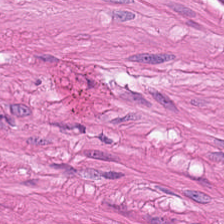Stain: hematoxylin and eosin.
Predominant tissue: smooth-muscle tissue.
